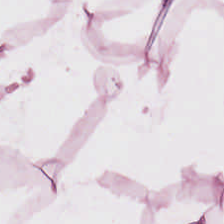Brightfield · hematoxylin-and-eosin stained section.
Impression — adipocytes.
